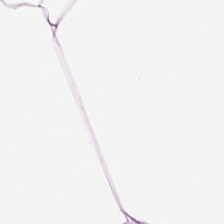H&E-stained tissue section. FFPE tissue section. Q: Classify this patch.
A: Adipose.
